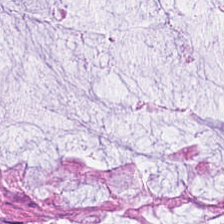Hematoxylin-and-eosin stained section — Normal colon mucosa.
